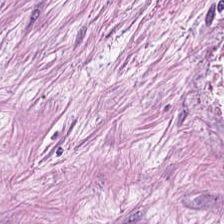Tumor stroma.
